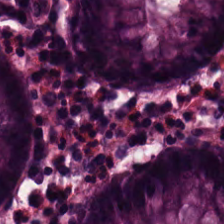Whole-slide-image patch; H&E.
Showing benign colonic mucosa.
